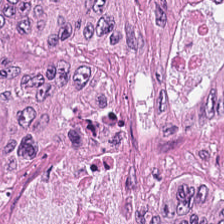H&E stain. Tissue type = tumor epithelium.
